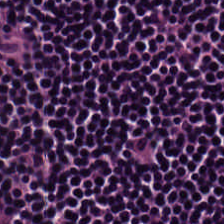H&E stain — Predominantly lymphoid infiltrate.
